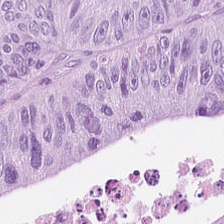H&E-stained tissue section — Q: What tissue type is shown here?
A: It is tumor epithelium.
